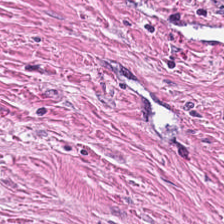H&E-stained tissue section — Showing cancer-associated stroma.
